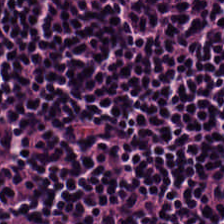H&E-stained tissue section · whole-slide-image patch.
Q: What tissue is shown?
A: It is lymphocyte aggregate.
